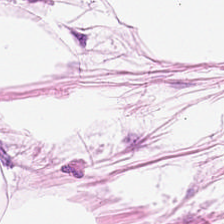Hematoxylin and eosin.
Q: What tissue is shown?
A: Adipose.
